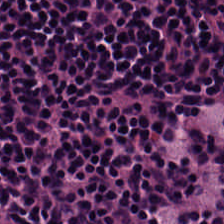Brightfield; hematoxylin and eosin; 224×224 px patch — Predominantly lymphoid infiltrate.
